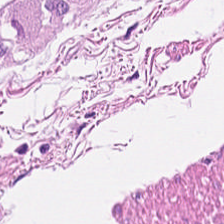224×224 px tile; H&E — Predominant tissue = smooth-muscle tissue.
